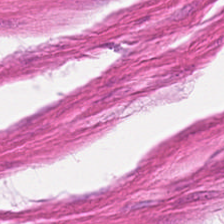H&E — Showing smooth muscle.
